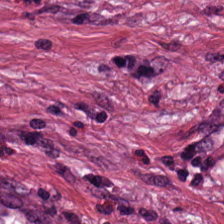Hematoxylin-and-eosin stained section.
Q: What is shown in this field?
A: The field shows tumor stroma.
